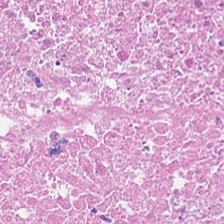H&E-stained tissue section — The tissue type is debris.
